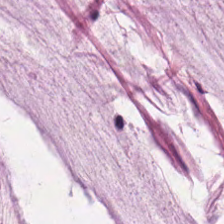Hematoxylin and eosin — Q: Identify the tissue.
A: It is mucus.
